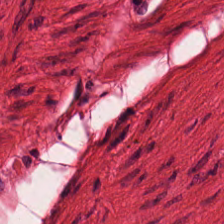FFPE. Hematoxylin and eosin. Brightfield.
Showing smooth-muscle tissue.
